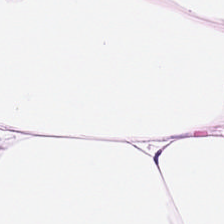H&E-stained tissue section — Impression → adipose.
